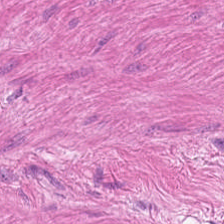This field is muscularis.
